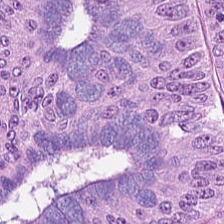Stain: H&E-stained tissue section.
Acquisition: brightfield microscopy.
Preparation: FFPE tissue section.
Tissue: colorectal adenocarcinoma.
